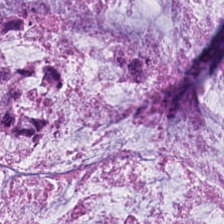H&E-stained tissue section — Tissue = mucus.
